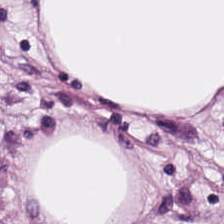Hematoxylin-and-eosin stained section — Impression — adipose tissue.
